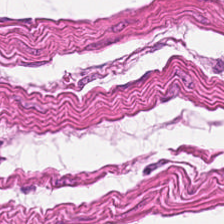Tissue type — muscularis.
